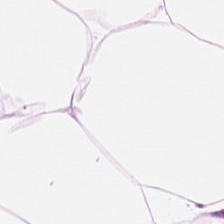H&E stain. Adipocytes.
